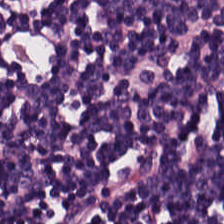Hematoxylin-and-eosin stained section · 0.5 microns per pixel · 224×224 px tile — The predominant tissue is lymphocytic infiltrate.
